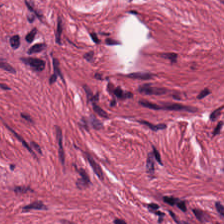H&E stain.
This field is tumor stroma.
